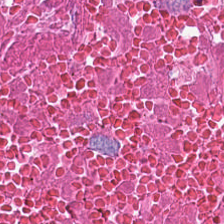H&E patch showing debris.
